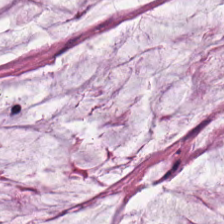Hematoxylin-and-eosin stained section · 0.5 µm/px · formalin-fixed paraffin-embedded section. Showing mucin.
